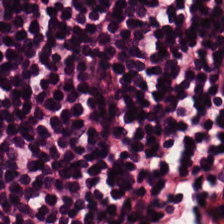H&E-stained tissue section.
Showing lymphocyte aggregate.
